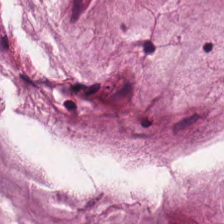H&E stain · 0.5 µm/px. Predominantly mucus.
